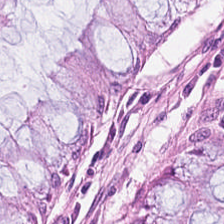H&E-stained tissue section.
The tissue is normal colon mucosa.
